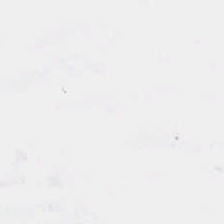224×224 px patch · 0.5 µm per pixel · hematoxylin and eosin.
Content: no tissue.
